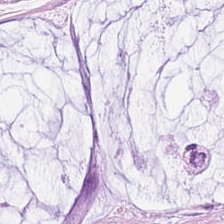H&E-stained tissue section · 0.5 µm/px · FFPE tissue section — Mucus.
